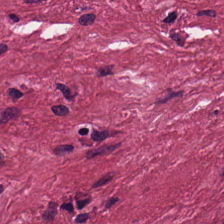FFPE tissue section. Hematoxylin and eosin.
Q: What type of tissue is this?
A: The field shows cancer-associated stroma.
